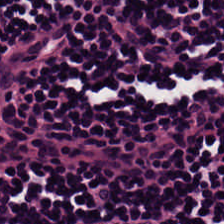H&E.
Tissue class — lymphoid infiltrate.
